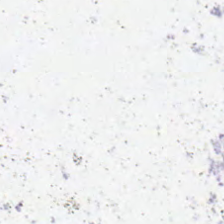Hematoxylin and eosin.
The field content is empty background.
